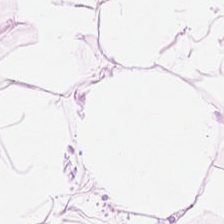Formalin-fixed paraffin-embedded section; H&E-stained tissue section — Predominant tissue = fat tissue.
